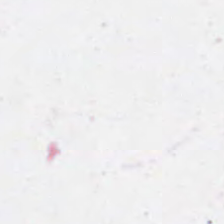FFPE. Hematoxylin and eosin.
Field content: empty background.
